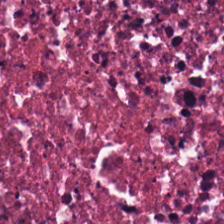Histology → debris.
